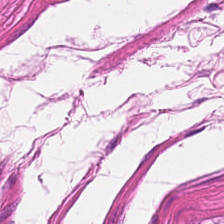H&E-stained tissue section · 0.5 µm per pixel · 224×224 px patch.
Q: What is the predominant tissue type?
A: It is smooth-muscle tissue.
